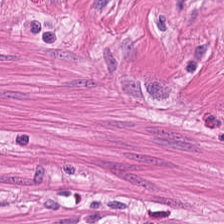Hematoxylin and eosin.
Tissue — smooth-muscle tissue.
